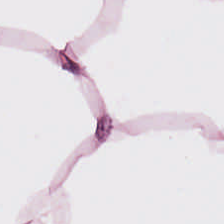H&E patch showing adipose.
